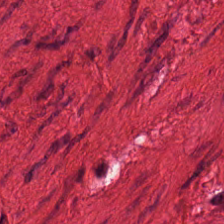Stain: hematoxylin and eosin.
Tile size: 224×224 pixel tile.
Tissue type: smooth-muscle tissue.
